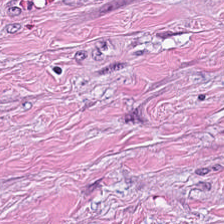Classification: tumor stroma.
